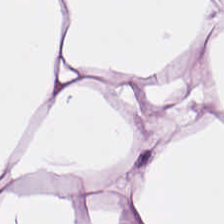Stain: H&E.
Tissue type: adipocytes.
